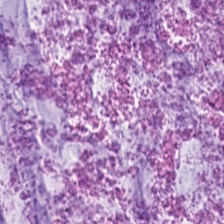Hematoxylin and eosin. FFPE tissue section. 224×224 px tile.
Predominant tissue: extracellular mucin.
